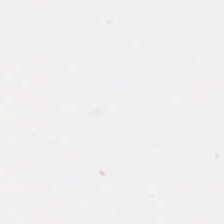Stain: hematoxylin-and-eosin stained section.
Content: background (no tissue).
